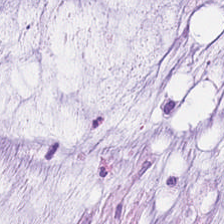Classification: mucin.
